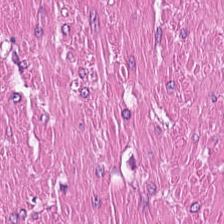H&E — Q: What tissue is shown?
A: Smooth muscle.
